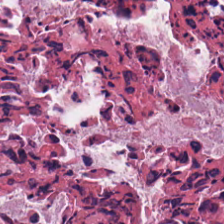Hematoxylin-and-eosin section: cellular debris.
